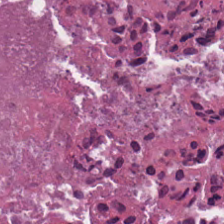Stain: H&E.
Classification: cellular debris.
